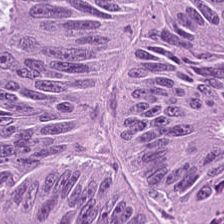0.5 µm per pixel. H&E.
This patch shows adenocarcinoma.
